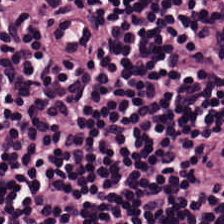{"tissue_type": "lymphocytic infiltrate"}
